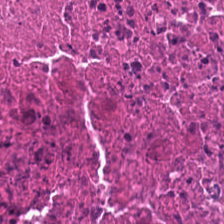Stain: H&E-stained tissue section.
Tissue class: necrotic debris.
